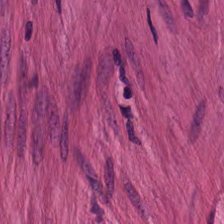Hematoxylin-and-eosin stained section. 20× equivalent magnification. 224×224 px patch — This field is muscularis.
